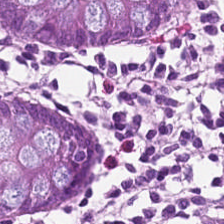Predominant tissue = normal colon mucosa.
